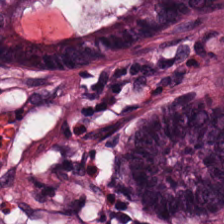Stain: hematoxylin and eosin.
Tissue: normal colon mucosa.
